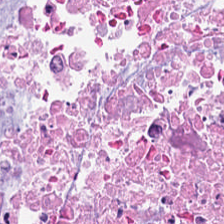H&E.
Q: What is shown in this field?
A: This is debris.
